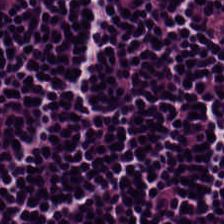H&E-stained tissue section · 20× equivalent magnification.
Tissue type = lymphocytic infiltrate.
